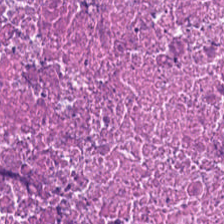H&E-stained tissue section.
The tissue here is necrotic debris.
